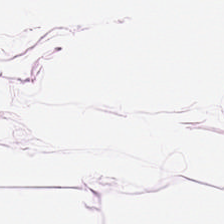H&E stain. The tissue here is adipose.
